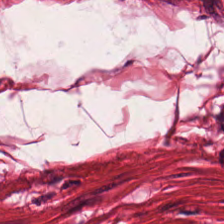Hematoxylin-and-eosin stained section — Q: What is shown here?
A: This is smooth muscle.
